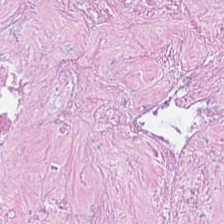FFPE tissue section · WSI patch · H&E — This patch shows necrotic debris.
